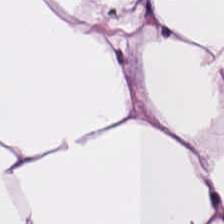Hematoxylin-and-eosin stained section — Showing fat tissue.
